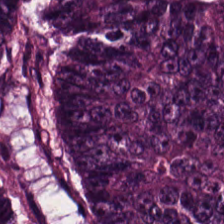Tissue class — malignant epithelium.
